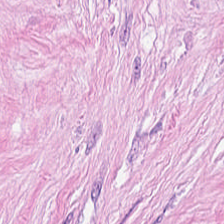224×224 px tile; H&E-stained tissue section; whole-slide-image patch. Tumor-associated stroma.
